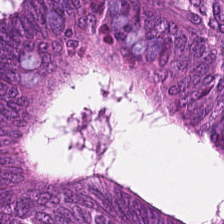H&E; 224×224 px patch. Tissue — colorectal adenocarcinoma epithelium.
